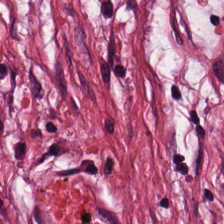H&E. This field is tumor stroma.
